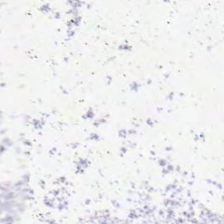0.5 µm/px. H&E stain — Classification: background (no tissue).
